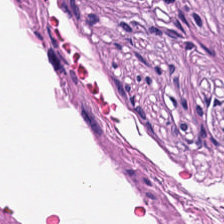H&E stain. The tissue class is muscularis.
